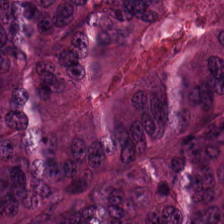H&E-stained tissue section — The tissue here is colorectal adenocarcinoma.
